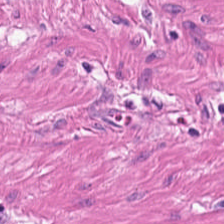Finding → smooth-muscle tissue.
